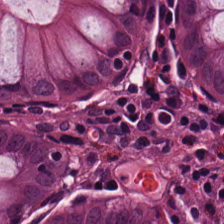H&E · 224×224 px patch. Q: What type of tissue is this?
A: Normal colonic mucosa.
